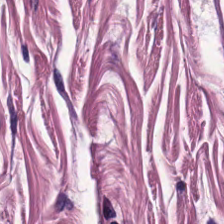H&E patch showing muscularis.
